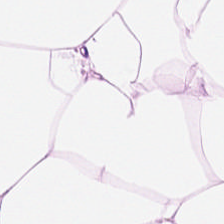Hematoxylin and eosin · 20× equivalent magnification · 224×224 pixel tile. The classification is adipose.
